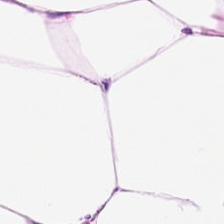Hematoxylin-and-eosin section: fat tissue.
